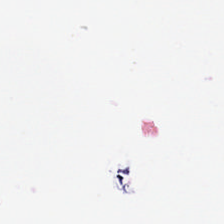Hematoxylin-and-eosin stained section.
No tissue present; background only.
